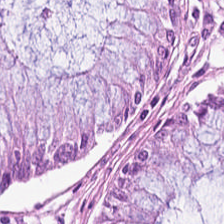Formalin-fixed paraffin-embedded section · H&E-stained tissue section · 0.5 µm/px — This field is normal colonic mucosa.
